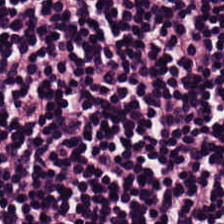Tissue class: lymphocyte aggregate.
